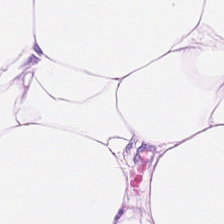H&E-stained tissue section — Impression → adipose.
